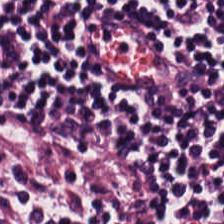Stain: H&E.
Tissue: lymphocytic infiltrate.
